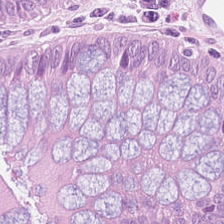H&E — Tissue type — normal colonic mucosa.
